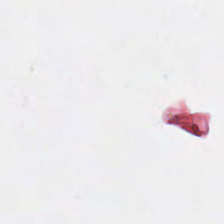Stain: hematoxylin-and-eosin stained section.
Content: no tissue.
